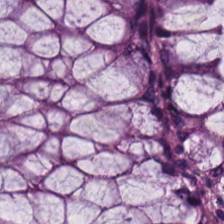Stain: H&E stain.
Acquisition: brightfield.
Tissue: normal colon mucosa.
